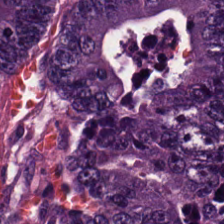224×224 px tile. H&E-stained tissue section — Colorectal adenocarcinoma.
